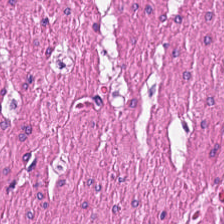Smooth-muscle tissue.
